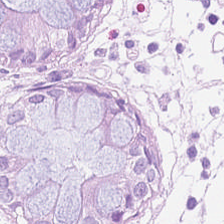This field is normal colon mucosa.
